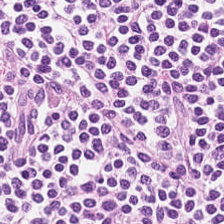H&E. 0.5 µm per pixel. Brightfield microscopy.
{"tissue_type": "lymphocytes"}
